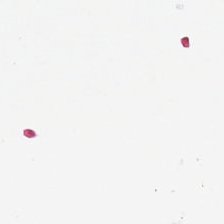Q: Classify this patch.
A: It is no tissue.
